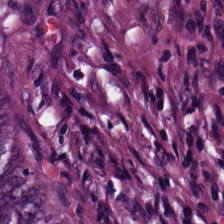224×224 px patch; hematoxylin-and-eosin stained section.
This field is colorectal adenocarcinoma.
